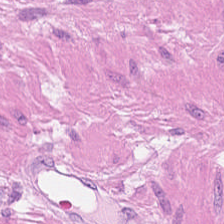H&E · FFPE.
Predominantly smooth-muscle tissue.
